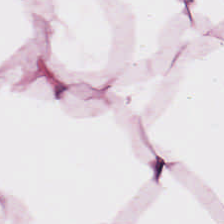Stain: H&E-stained tissue section.
Tile size: 224×224 pixel tile.
Predominant tissue: fat tissue.
